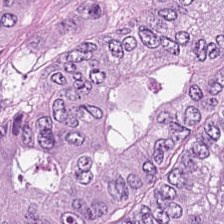H&E.
{"tissue_type": "colorectal adenocarcinoma epithelium"}
